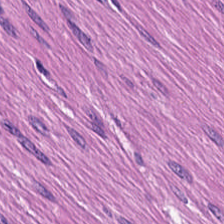Showing smooth-muscle tissue.
